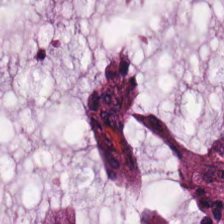H&E-stained tissue section. Histology → mucus.
